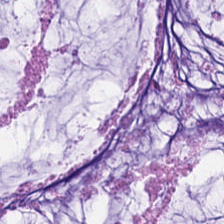H&E stain.
Q: What is shown here?
A: The field shows mucus.
